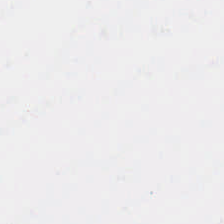H&E.
Q: Classify this patch.
A: It is empty background.
